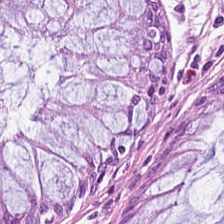Hematoxylin and eosin · 0.5 µm per pixel — Normal colonic mucosa.
